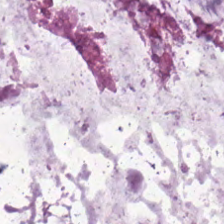Predominantly mucin.
